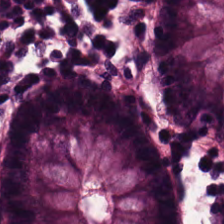WSI patch; hematoxylin and eosin; FFPE tissue section — Q: What is shown here?
A: This is normal colonic mucosa.
